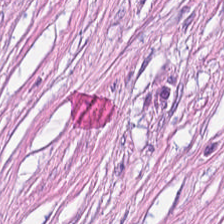Hematoxylin-and-eosin stained section. The tissue class is cancer-associated stroma.
